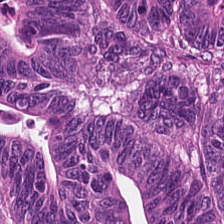{"tissue_type": "colorectal adenocarcinoma epithelium"}
